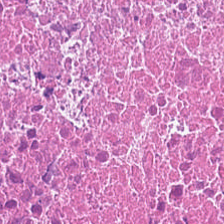224×224 px tile · H&E-stained tissue section. Predominantly cellular debris.
